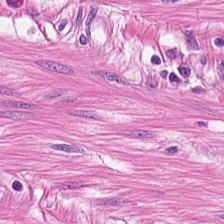WSI patch. H&E stain. Impression — smooth-muscle tissue.
